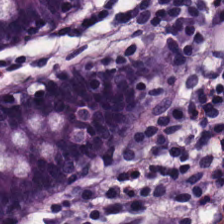Hematoxylin-and-eosin stained section. Predominant tissue = normal colonic mucosa.
